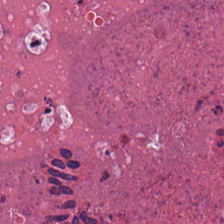Predominantly cellular debris.
